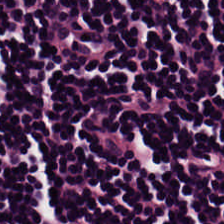Hematoxylin-and-eosin stained section; formalin-fixed paraffin-embedded section. Finding → lymphoid infiltrate.
